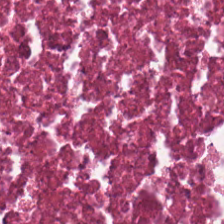20× equivalent magnification. FFPE tissue section. H&E stain.
The classification is cellular debris.
